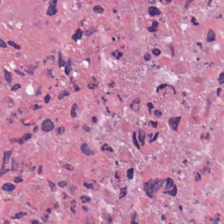H&E-stained tissue section. Predominant tissue — debris.
